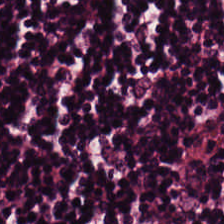H&E-stained tissue section — Impression → lymphocyte aggregate.
